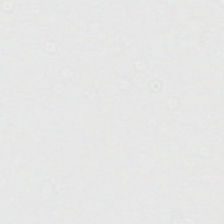Formalin-fixed paraffin-embedded section; hematoxylin and eosin; 224×224 px patch.
Impression → background.
